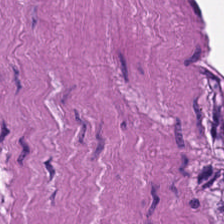224×224 px patch · H&E-stained tissue section · whole-slide-image patch. The tissue here is smooth muscle.
